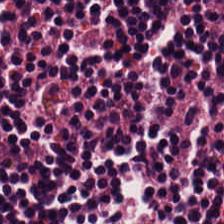The predominant tissue is lymphocytes.
